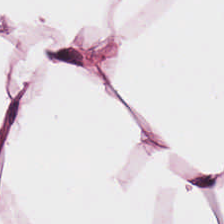Q: What does this patch show?
A: The field shows adipose.
